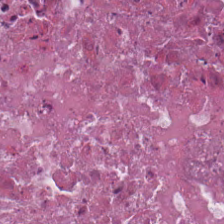H&E stain — Predominant tissue = cellular debris.
